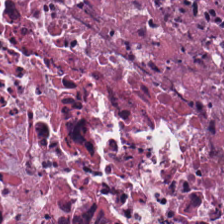Hematoxylin-and-eosin stained section; 20× equivalent magnification; FFPE.
Predominant tissue: cellular debris.
